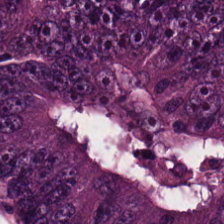0.5 microns per pixel · whole-slide-image patch · hematoxylin-and-eosin stained section — Finding — colorectal adenocarcinoma.
